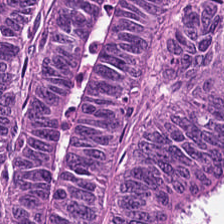Hematoxylin-and-eosin stained section — Predominantly colorectal adenocarcinoma.
